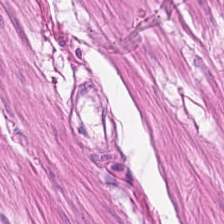H&E-stained tissue section. The predominant tissue is muscularis.
